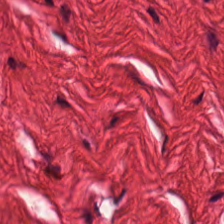Smooth muscle.
